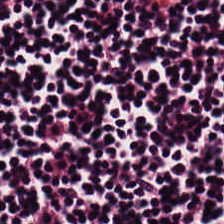Showing lymphocytes.
